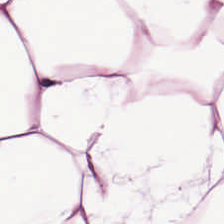H&E stain. This patch shows adipose tissue.
